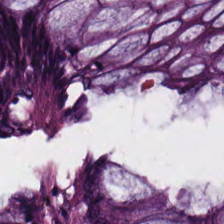H&E-stained tissue section showing normal colonic mucosa.
